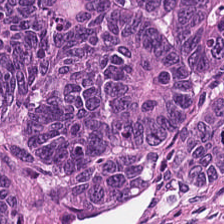20× equivalent magnification · hematoxylin and eosin. Finding → colorectal adenocarcinoma epithelium.
